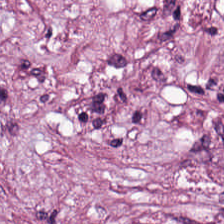H&E. The tissue here is desmoplastic stroma.
